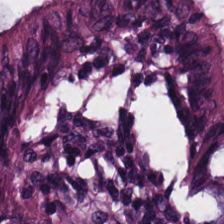H&E.
Tissue = non-neoplastic colon mucosa.
